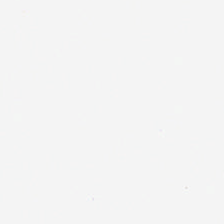Hematoxylin-and-eosin stained section.
This field is background (no tissue).
